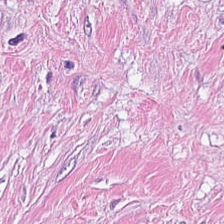Stain: H&E-stained tissue section.
Tile size: 224×224 px patch.
Resolution: 0.5 microns per pixel.
Predominant tissue: cancer-associated stroma.
